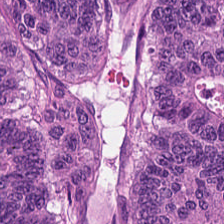H&E. Q: What is the predominant tissue type?
A: It is tumor epithelium.
